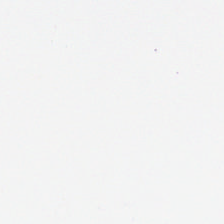Hematoxylin and eosin. Classification — no tissue.
